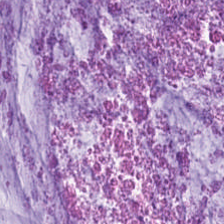Hematoxylin and eosin.
Mucin.
